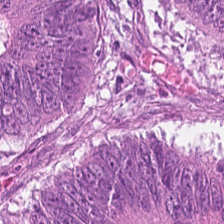H&E stain.
This patch shows colorectal adenocarcinoma.
